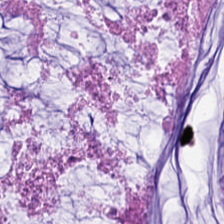Histology → mucin.
